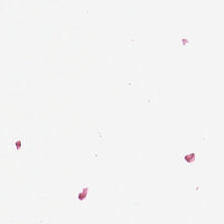Stain: hematoxylin and eosin.
Acquisition: whole-slide-image patch.
Content: empty background.
